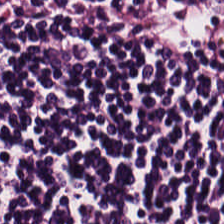Hematoxylin and eosin. Whole-slide-image patch. 0.5 µm per pixel. Predominantly lymphocytes.
